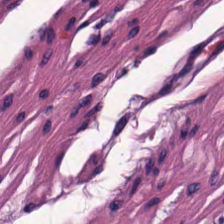H&E-stained tissue section.
The predominant tissue is smooth muscle.
